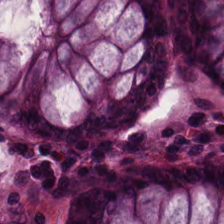H&E stain. This patch shows normal colon mucosa.
